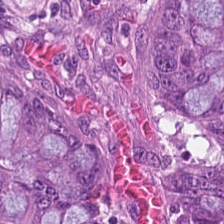Stain: hematoxylin and eosin.
Tissue class: colorectal adenocarcinoma.
